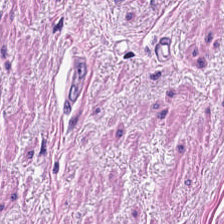Hematoxylin and eosin.
Showing smooth muscle.
